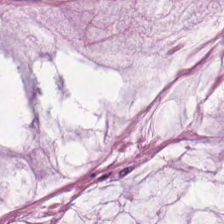Hematoxylin-and-eosin stained section.
Q: What tissue type is shown here?
A: The field shows mucin.
